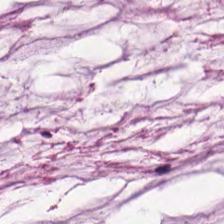FFPE · hematoxylin-and-eosin stained section. Histology → mucin.
